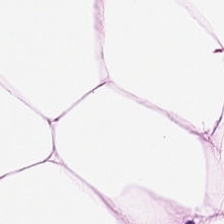Stain: H&E.
Classification: adipose tissue.
